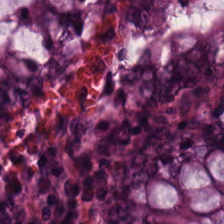H&E-stained tissue section.
Normal colon mucosa.
